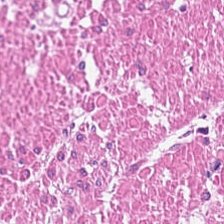Predominant tissue: muscularis.
